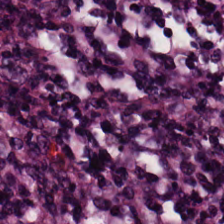H&E — lymphoid infiltrate.
